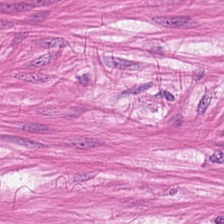Q: Identify the tissue.
A: It is muscularis.
